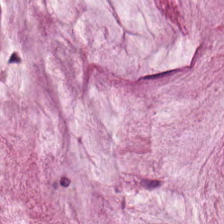Hematoxylin and eosin. Q: What tissue type is shown here?
A: The field shows mucin.
